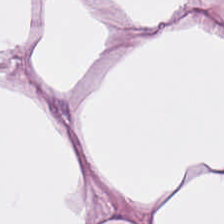FFPE tissue section; H&E-stained tissue section. The tissue type is adipose.
